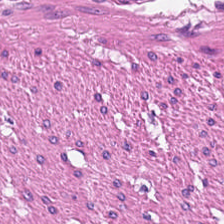0.5 µm per pixel · H&E · FFPE tissue section. Predominantly smooth muscle.
